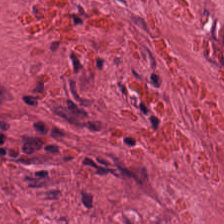Hematoxylin and eosin · FFPE tissue section — This patch shows tumor stroma.
